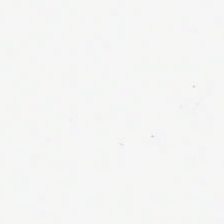Hematoxylin-and-eosin stained section.
This patch shows background (no tissue).
